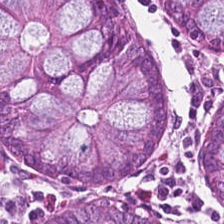Classification: non-neoplastic colon mucosa.
